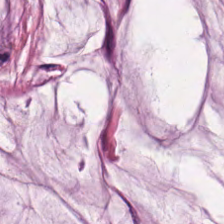Tissue class — extracellular mucin.
